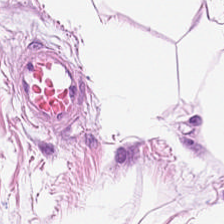Hematoxylin and eosin. Impression — adipose.
